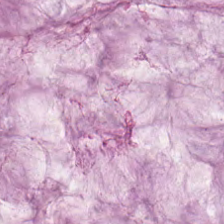Stain: H&E stain.
Predominant tissue: mucus.
